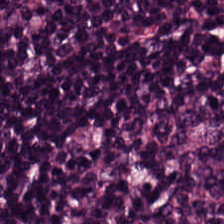Stain: H&E stain.
Classification: lymphocytes.
